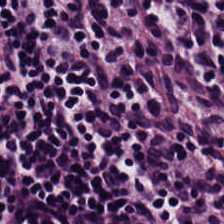FFPE; hematoxylin-and-eosin stained section — Tissue type: lymphocytes.
